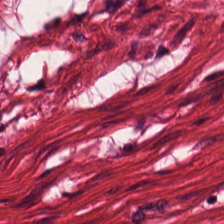H&E stain.
Finding — smooth muscle.
